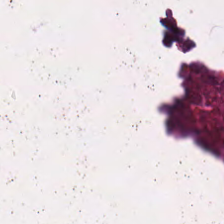Tissue type = cellular debris.
